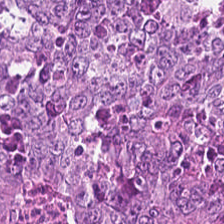H&E-stained tissue section. Predominant tissue = adenocarcinoma.
